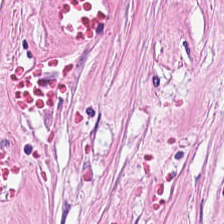Q: Identify the tissue.
A: Cancer-associated stroma.
